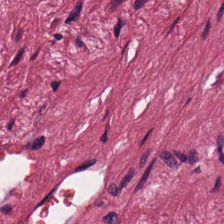H&E stain — The tissue here is cancer-associated stroma.
